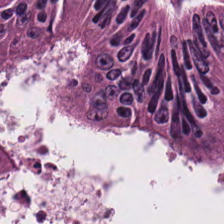H&E-stained tissue section · 224×224 pixel tile.
The tissue class is colorectal adenocarcinoma epithelium.
